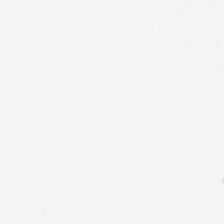Formalin-fixed paraffin-embedded section. H&E. Finding → no tissue.
